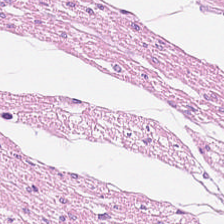Hematoxylin-and-eosin stained section. Predominantly muscularis.
